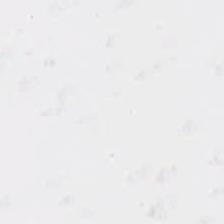Impression → background.
